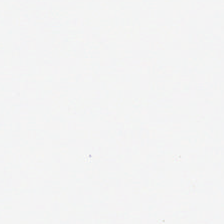Q: What does this patch show?
A: This is no tissue.
